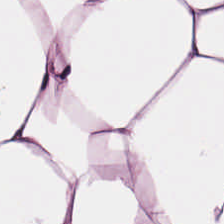Stain: hematoxylin and eosin.
Preparation: FFPE.
Predominant tissue: fat tissue.
